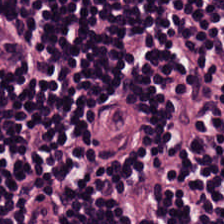H&E. Histology → lymphocytic infiltrate.
